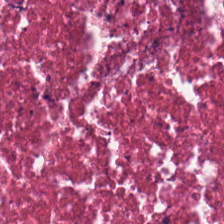Hematoxylin-and-eosin stained section. Q: Classify this patch.
A: This is debris.
